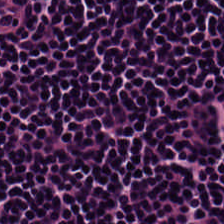The predominant tissue is lymphocytic infiltrate.
